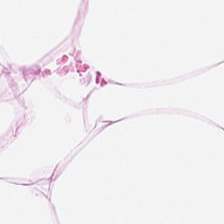H&E stain. Whole-slide-image patch. 224×224 px tile. This patch shows adipose tissue.
